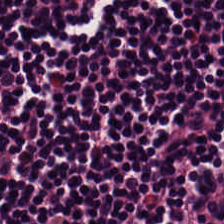The tissue here is lymphocytic infiltrate.
